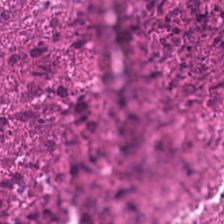Brightfield; H&E; 224×224 px patch. Q: What is shown in this field?
A: This is debris.
